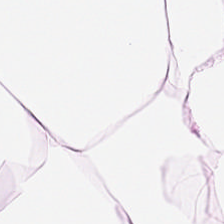Tissue class = adipocytes.
